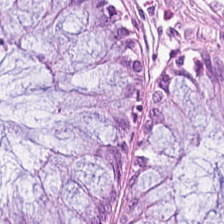Hematoxylin-and-eosin stained section — This field is benign colonic mucosa.
